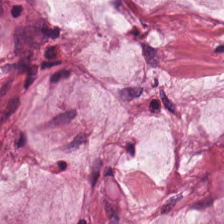Hematoxylin and eosin. Finding → extracellular mucin.
